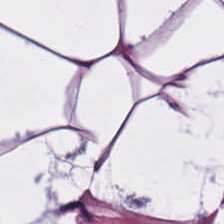FFPE; H&E. Impression → adipose.
